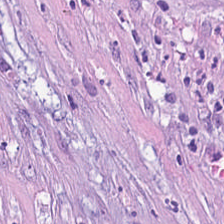H&E stain.
Predominant tissue = desmoplastic stroma.
